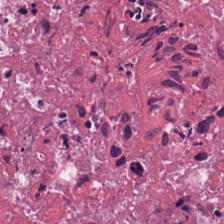Tissue type: debris.
